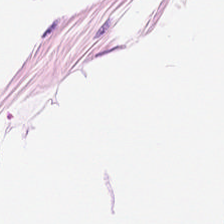FFPE tissue section. 0.5 µm per pixel. Hematoxylin and eosin. Predominant tissue = adipocytes.
